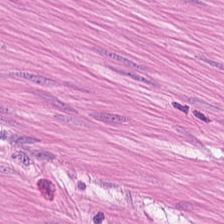Stain: hematoxylin and eosin.
Predominant tissue: muscularis.
